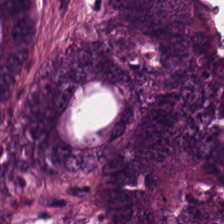Hematoxylin-and-eosin stained section · 224×224 px tile.
The predominant tissue is colorectal adenocarcinoma.
